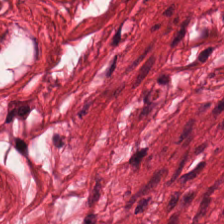Stain: hematoxylin and eosin.
Tissue type: smooth muscle.
